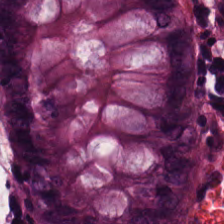H&E. Classification: normal colon mucosa.
